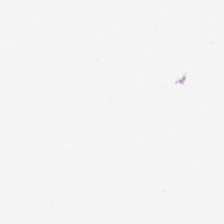Hematoxylin-and-eosin stained section — The field content is background (no tissue).
